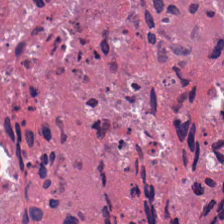0.5 µm/px. Hematoxylin-and-eosin stained section.
Predominant tissue — cellular debris.
